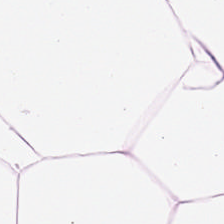Tissue class — adipocytes.
